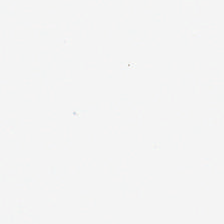Q: What is shown here?
A: It is empty background.
